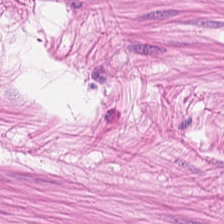0.5 µm per pixel · hematoxylin-and-eosin stained section — The classification is smooth muscle.
